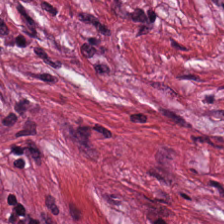FFPE; hematoxylin and eosin; 0.5 microns per pixel — Q: What is shown here?
A: This is tumor-associated stroma.
